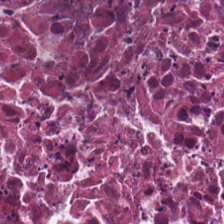Hematoxylin-and-eosin stained section. {"tissue_type": "debris"}
